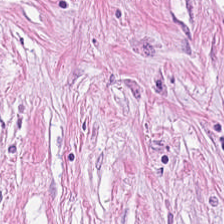Cancer-associated stroma.
